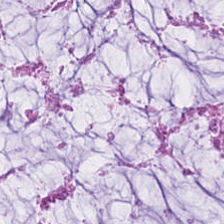Hematoxylin-and-eosin stained section · 0.5 µm per pixel — The tissue is mucus.
